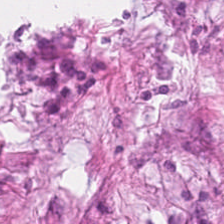Hematoxylin-and-eosin stained section. Predominant tissue — cancer-associated stroma.
